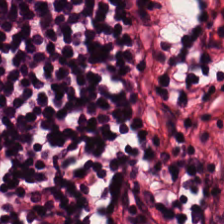Hematoxylin and eosin. 224×224 pixel tile. Tissue type — lymphocytic infiltrate.
